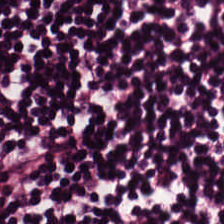Formalin-fixed paraffin-embedded section; H&E-stained tissue section; 0.5 µm per pixel. This field is lymphoid infiltrate.
